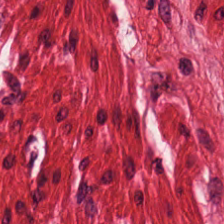Stain: H&E-stained tissue section.
Acquisition: brightfield.
Preparation: FFPE tissue section.
Tissue: muscularis.
